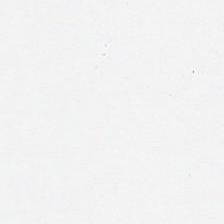H&E — Q: What is shown here?
A: Empty background.
